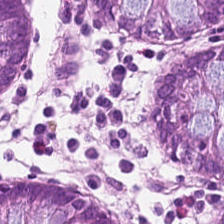FFPE tissue section; brightfield microscopy; H&E stain.
Showing non-neoplastic colon mucosa.
